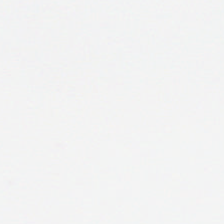H&E-stained tissue section. Classification = background.
